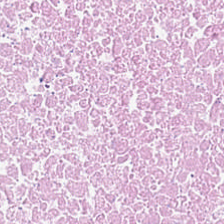Stain: hematoxylin-and-eosin stained section.
Resolution: 0.5 µm/px.
Tissue type: cellular debris.
